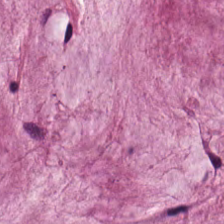H&E — Tissue class — mucin.
